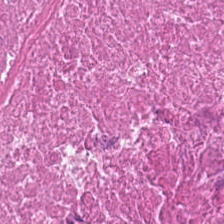Stain: hematoxylin and eosin.
Tissue: debris.
